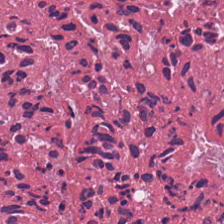The tissue type is debris.
